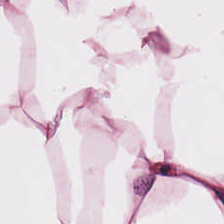H&E-stained tissue section — Fat tissue.
